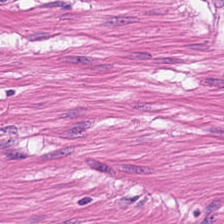Brightfield; 0.5 microns per pixel; hematoxylin-and-eosin stained section.
The tissue type is smooth muscle.
